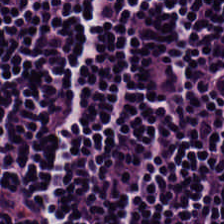H&E-stained tissue section; 224×224 px patch; 0.5 microns per pixel — Predominantly lymphocytic infiltrate.
